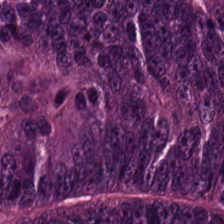This field is colorectal adenocarcinoma.
